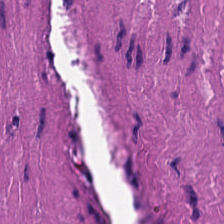Hematoxylin and eosin — The predominant tissue is muscularis.
